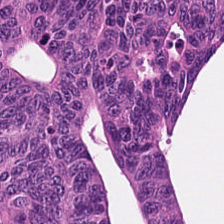Adenocarcinoma.
